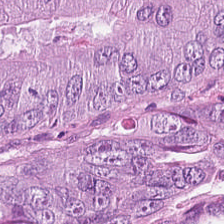H&E stain. 0.5 µm per pixel. 224×224 px tile — Showing malignant epithelium.
